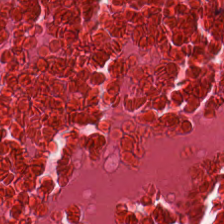H&E stain; brightfield.
This patch shows cellular debris.
